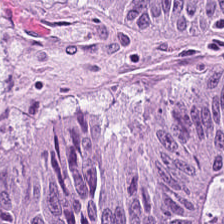H&E stain. Predominantly colorectal adenocarcinoma.
